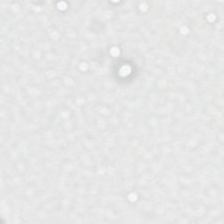0.5 µm per pixel. Formalin-fixed paraffin-embedded section. H&E-stained tissue section — This patch shows no tissue.
